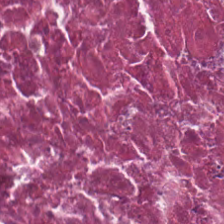Q: Identify the tissue.
A: The field shows cellular debris.
